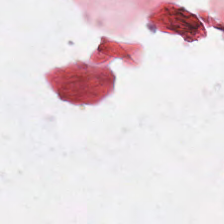Brightfield microscopy; hematoxylin and eosin; 224×224 pixel tile. {"content": "empty background"}
